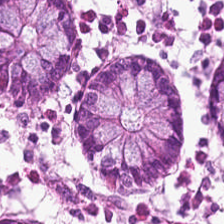H&E.
Normal colon mucosa.
